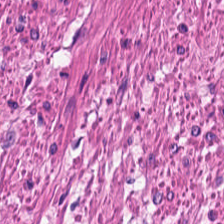H&E — muscularis.
